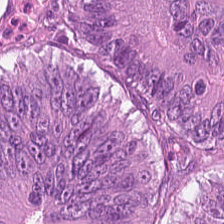Stain: H&E.
Predominant tissue: colorectal adenocarcinoma epithelium.
